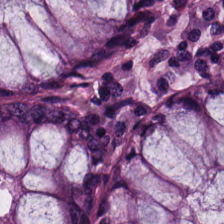H&E stain. Tissue type = normal colon mucosa.
